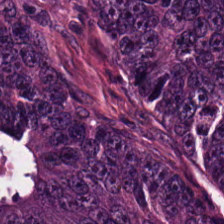H&E stain. FFPE. 224×224 px tile — This patch shows colorectal adenocarcinoma.
